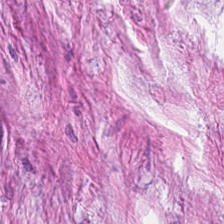{"tissue_type": "tumor-associated stroma"}
